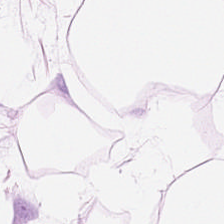H&E. FFPE tissue section. Tissue type: adipose tissue.
